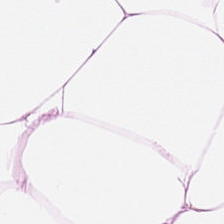Predominant tissue = fat tissue.
